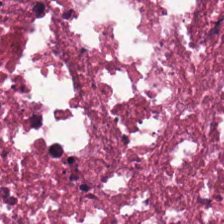Stain: hematoxylin and eosin.
Acquisition: brightfield microscopy.
Tissue class: debris.
